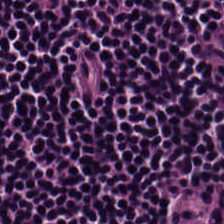Hematoxylin and eosin.
Classification = lymphoid infiltrate.
